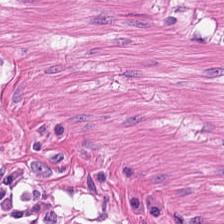Brightfield microscopy · 0.5 µm/px · hematoxylin and eosin.
This patch shows muscularis.
